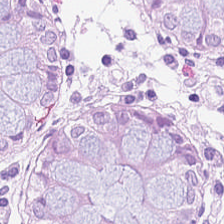Formalin-fixed paraffin-embedded section. H&E stain. {"tissue_type": "normal colonic mucosa"}
